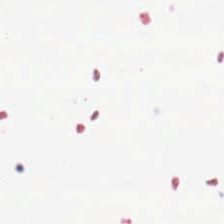H&E-stained tissue section.
Content = empty background.
